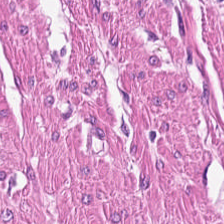Histology → muscularis.
